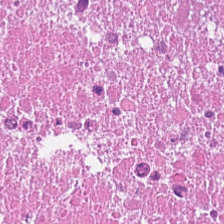Hematoxylin-and-eosin stained section.
Tissue type — debris.
